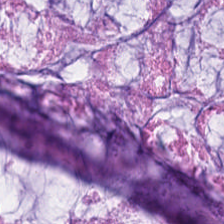Hematoxylin and eosin.
The tissue type is extracellular mucin.
